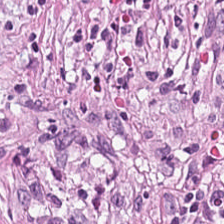H&E stain; 0.5 microns per pixel.
The tissue here is cancer-associated stroma.
